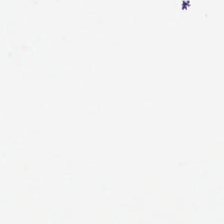Hematoxylin-and-eosin stained section; 0.5 µm/px. Q: What is shown in this field?
A: This is background.
